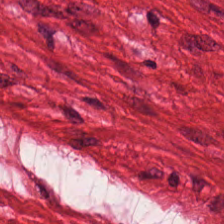H&E stain; 224×224 px patch.
The tissue class is smooth-muscle tissue.
